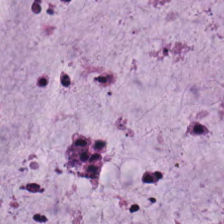H&E. Whole-slide-image patch. Predominantly mucin.
